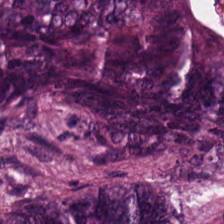Hematoxylin and eosin. Finding → adenocarcinoma.
